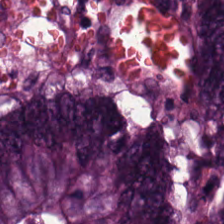This field is adenocarcinoma.
